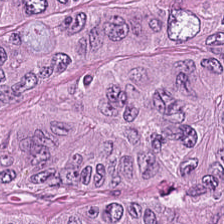H&E-stained tissue section; FFPE — The predominant tissue is malignant epithelium.
